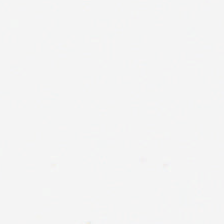Brightfield microscopy · hematoxylin and eosin. The content is no tissue.
